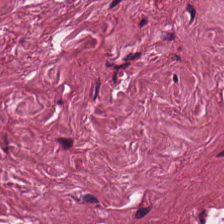H&E-stained tissue section — This field is tumor stroma.
